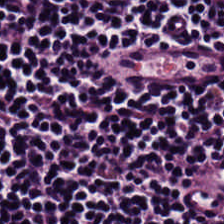Hematoxylin and eosin.
Q: What type of tissue is this?
A: The field shows lymphocytes.
